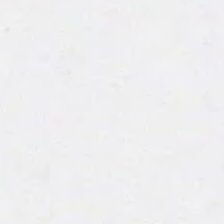H&E-stained tissue section. Q: What is shown in this field?
A: This is background (no tissue).
